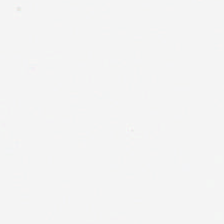Whole-slide-image patch. H&E stain. Classification = background.
